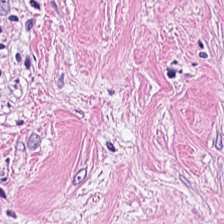H&E-stained tissue section; 0.5 µm per pixel — Classification: tumor stroma.
